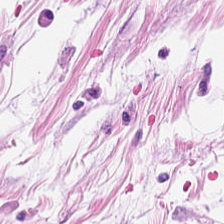H&E patch showing fat tissue.
